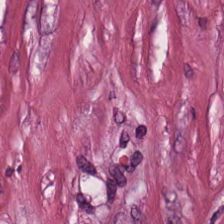Hematoxylin and eosin. {"tissue_type": "tumor stroma"}
